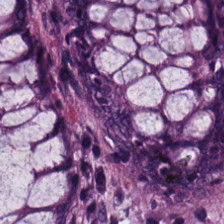H&E stain. Non-neoplastic colon mucosa.
